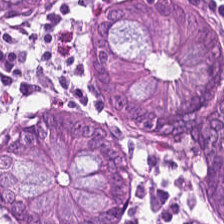H&E-stained tissue section · brightfield. Showing normal colonic mucosa.
